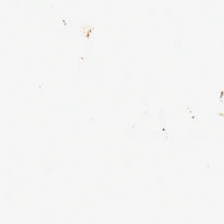Hematoxylin-and-eosin stained section. {"content": "no tissue"}
